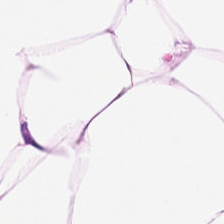H&E. The tissue here is adipose.
